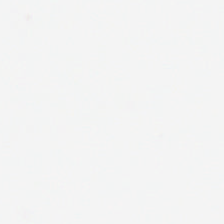0.5 microns per pixel · H&E.
The field content is background (no tissue).
